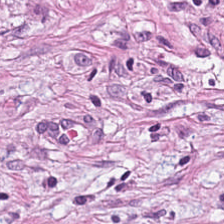H&E-stained tissue section. Predominant tissue = tumor stroma.
